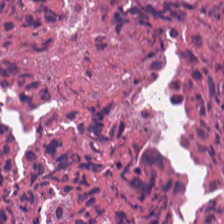Stain: H&E.
Predominant tissue: debris.
